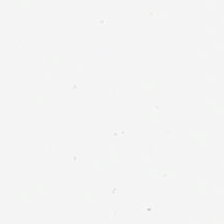Histology → background.
